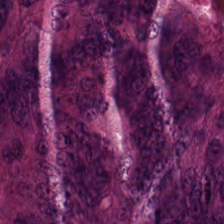0.5 µm/px · H&E stain — The tissue here is adenocarcinoma.
